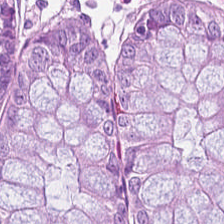H&E-stained tissue section — Impression — non-neoplastic colon mucosa.
